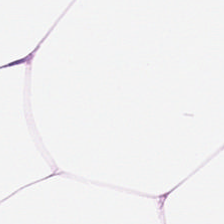Stain: H&E.
Tissue type: adipose.
